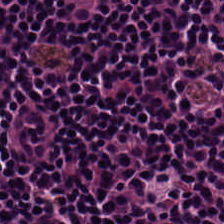H&E. Impression — lymphocyte aggregate.
